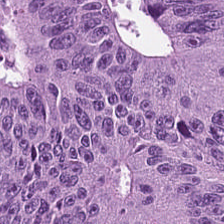0.5 µm per pixel · hematoxylin-and-eosin stained section.
Impression → tumor epithelium.
